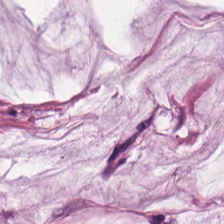H&E. The tissue here is mucus.
